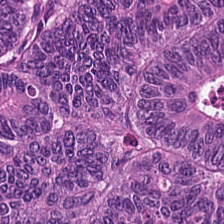Stain: hematoxylin-and-eosin stained section.
Tissue type: malignant epithelium.
